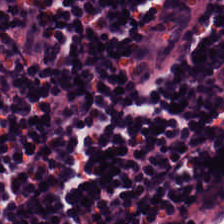WSI patch · hematoxylin-and-eosin stained section.
Classification = lymphocytes.
